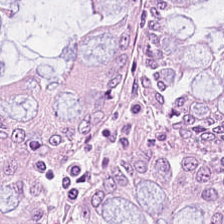H&E stain; FFPE — The predominant tissue is normal colonic mucosa.
